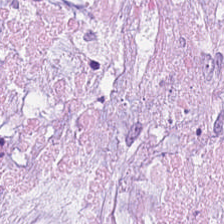Hematoxylin-and-eosin stained section. The predominant tissue is mucin.
